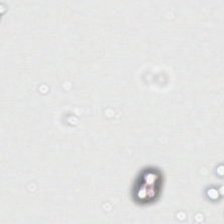0.5 microns per pixel. Hematoxylin-and-eosin stained section. Brightfield microscopy — Q: What is shown in this field?
A: This is background (no tissue).
